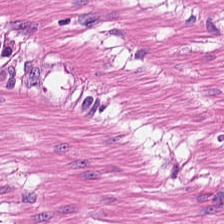H&E-stained tissue section.
Predominant tissue: smooth muscle.
